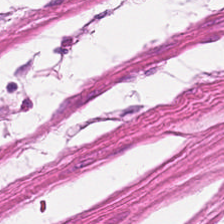Hematoxylin-and-eosin stained section. 224×224 px tile. 0.5 µm per pixel.
Q: What tissue type is shown here?
A: Smooth muscle.
